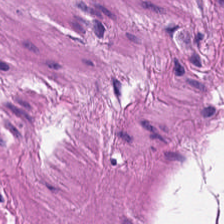Hematoxylin-and-eosin stained section. 224×224 px tile.
Predominant tissue: muscularis.
